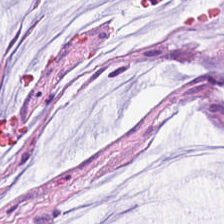Stain: hematoxylin and eosin.
Resolution: 0.5 microns per pixel.
Tissue class: mucin.
